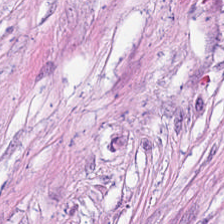H&E-stained tissue section.
The tissue here is tumor stroma.
